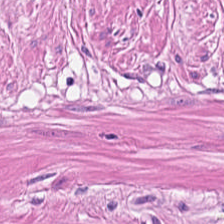Hematoxylin-and-eosin stained section.
Smooth-muscle tissue.
